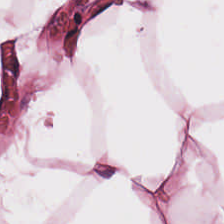0.5 µm per pixel · hematoxylin-and-eosin stained section. Predominantly fat tissue.
